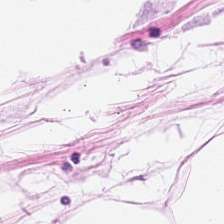H&E stain. Showing adipose tissue.
